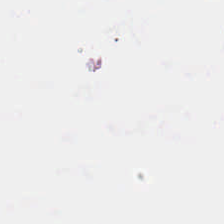H&E. No tissue present; background only.
